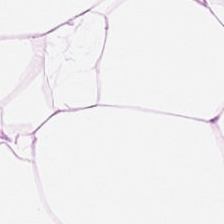Impression — adipose.
